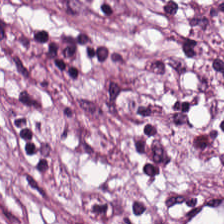H&E-stained tissue section · 224×224 px tile — This patch shows tumor-associated stroma.
